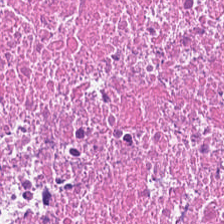Hematoxylin-and-eosin stained section. FFPE — Q: Identify the tissue.
A: The field shows necrotic debris.
